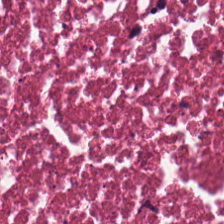The tissue type is necrotic debris.
